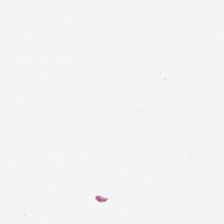H&E · 224×224 pixel tile · 20× equivalent magnification.
Empty field — empty background.
